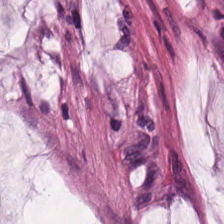Q: What tissue type is shown here?
A: It is mucus.
